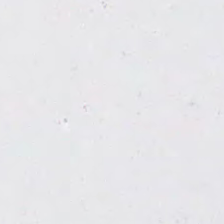H&E stain.
Q: What is shown in this field?
A: It is background (no tissue).
